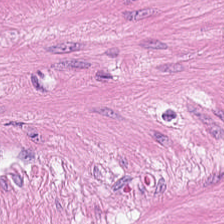Hematoxylin and eosin — Q: What type of tissue is this?
A: This is smooth muscle.
